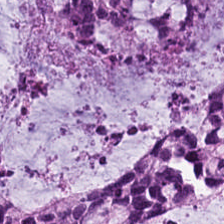H&E stain. 224×224 pixel tile. 0.5 µm/px. Showing mucin.
